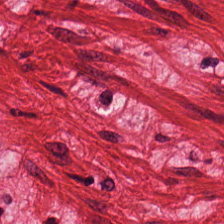H&E-stained tissue section — {"tissue_type": "smooth muscle"}
